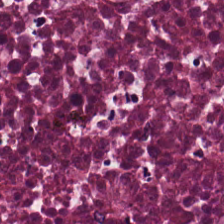0.5 µm per pixel · H&E stain. Q: Identify the tissue.
A: Debris.
